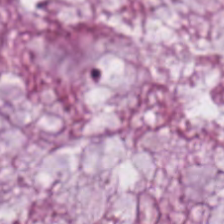Hematoxylin-and-eosin stained section — Q: What tissue is shown?
A: This is extracellular mucin.
